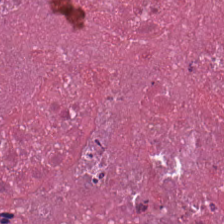Hematoxylin and eosin · 0.5 µm/px — Classification: cellular debris.
